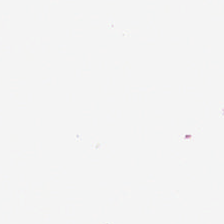H&E-stained tissue section; whole-slide-image patch — This patch shows background (no tissue).
